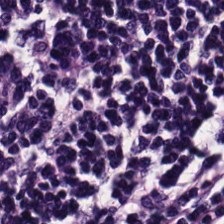H&E. This patch shows lymphocytic infiltrate.
